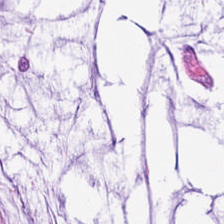Hematoxylin-and-eosin section: mucus.
